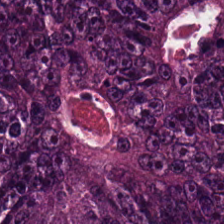Hematoxylin and eosin — Finding → malignant epithelium.
